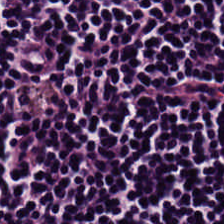Impression — lymphoid infiltrate.
